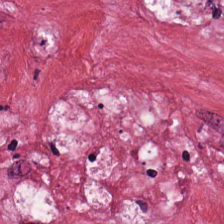H&E.
{"tissue_type": "tumor-associated stroma"}
